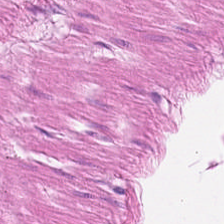H&E — Impression → muscularis.
